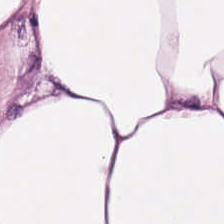Stain: hematoxylin and eosin.
Acquisition: WSI patch.
Tissue type: adipose tissue.
